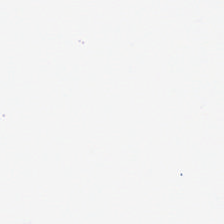Q: What does this patch show?
A: It is background (no tissue).
